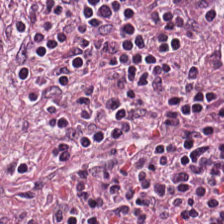H&E stain — This field is lymphocyte aggregate.
